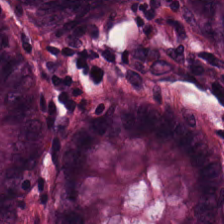Showing normal colonic mucosa.
